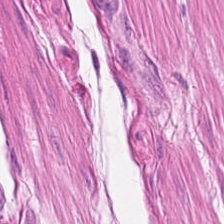Hematoxylin-and-eosin stained section.
Showing smooth-muscle tissue.
